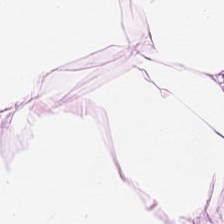H&E — This patch shows adipocytes.
